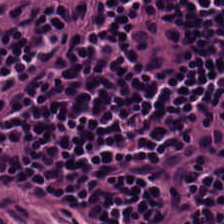H&E. 0.5 µm/px.
The predominant tissue is lymphocytic infiltrate.
